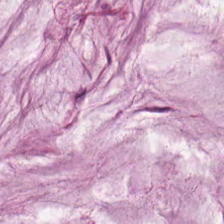H&E stain. Q: Identify the tissue.
A: It is extracellular mucin.
